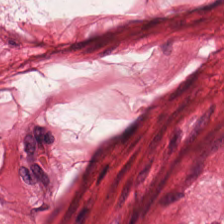0.5 microns per pixel · WSI patch · H&E — This patch shows smooth muscle.
